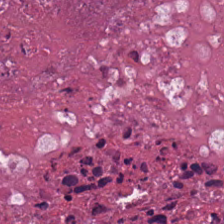H&E stain — The tissue type is debris.
